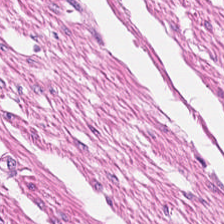Predominantly muscularis.
